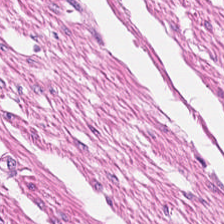Predominantly muscularis.
